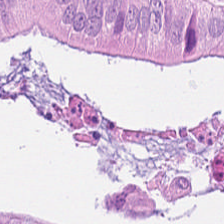Q: What tissue is shown?
A: Adenocarcinoma.
